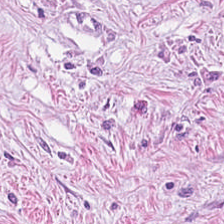Stain: H&E stain.
Predominant tissue: tumor stroma.
